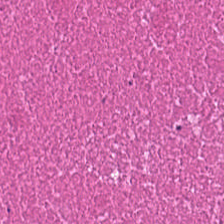Stain: H&E-stained tissue section.
Predominant tissue: cellular debris.
